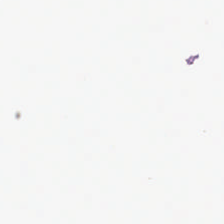H&E; 0.5 µm per pixel.
Classification — no tissue.
